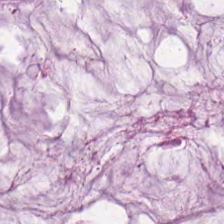224×224 pixel tile · hematoxylin and eosin · brightfield.
The tissue here is mucin.
